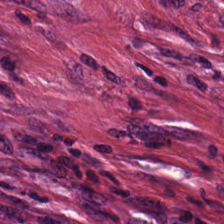FFPE; hematoxylin and eosin. Desmoplastic stroma.
